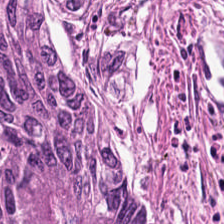Hematoxylin and eosin; FFPE — Finding — colorectal adenocarcinoma.
